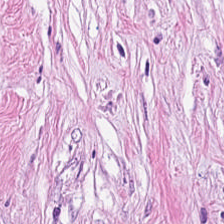0.5 µm per pixel. Hematoxylin and eosin. 224×224 px patch — Tissue class: desmoplastic stroma.
